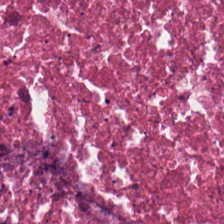Q: What is shown here?
A: This is cellular debris.
